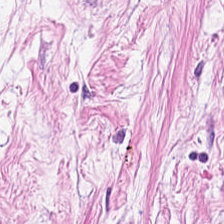Hematoxylin-and-eosin stained section · 224×224 pixel tile · whole-slide-image patch.
Tissue type — tumor-associated stroma.
